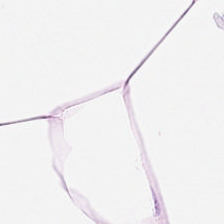H&E stain; 20× equivalent magnification — Q: What is shown in this field?
A: It is adipose tissue.
